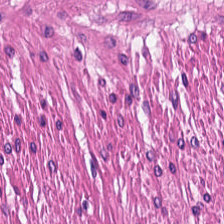Histology → muscularis.
